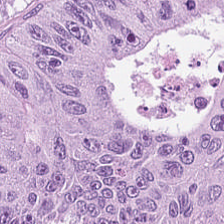Stain: H&E stain.
Tile size: 224×224 px tile.
Resolution: 0.5 µm/px.
Tissue: malignant epithelium.
